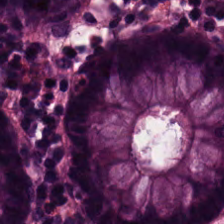Predominant tissue — non-neoplastic colon mucosa.
